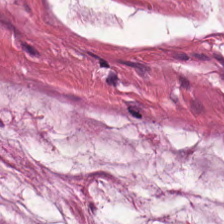H&E stain.
Showing mucus.
